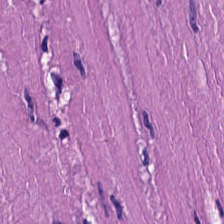H&E stain. Q: What tissue is shown?
A: It is smooth-muscle tissue.
